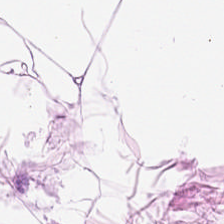H&E-stained section; the field shows fat tissue.
